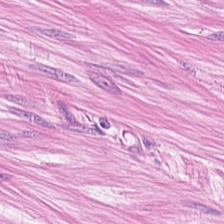Stain: H&E-stained tissue section.
Acquisition: whole-slide-image patch.
Preparation: FFPE tissue section.
Predominant tissue: smooth muscle.
